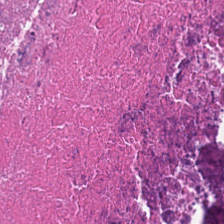The tissue is necrotic debris.
